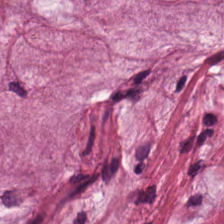H&E stain — The tissue type is mucin.
